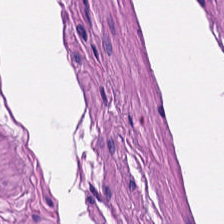Brightfield · hematoxylin-and-eosin stained section.
Tissue = smooth-muscle tissue.
